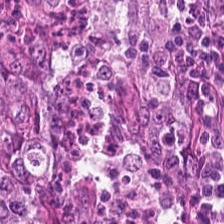Q: What is shown here?
A: It is adenocarcinoma.
